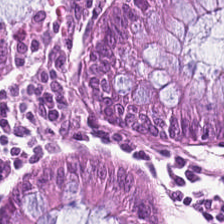Hematoxylin and eosin — Finding — non-neoplastic colon mucosa.
